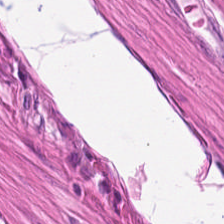Brightfield. Hematoxylin-and-eosin stained section. 0.5 µm per pixel. {"tissue_type": "muscularis"}
